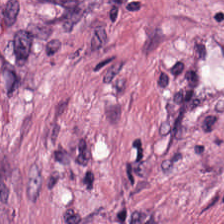H&E. {"tissue_type": "tumor-associated stroma"}
